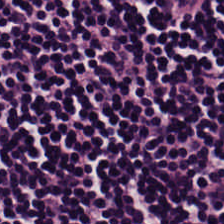Hematoxylin-and-eosin stained section.
Histology — lymphoid infiltrate.
